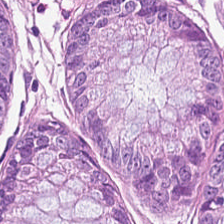H&E stain — Showing benign colonic mucosa.
